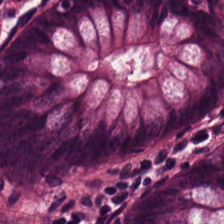Hematoxylin and eosin.
Q: What tissue type is shown here?
A: The field shows normal colon mucosa.
